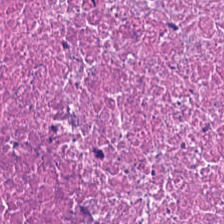Hematoxylin and eosin.
Q: What is shown here?
A: Debris.
